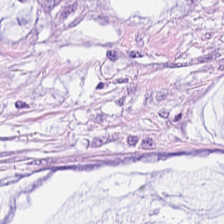224×224 pixel tile; H&E — Histology — mucin.
